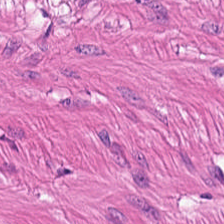Q: What does this patch show?
A: The field shows muscularis.
